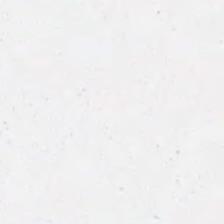224×224 px patch; H&E; 0.5 microns per pixel — This field is background (no tissue).
